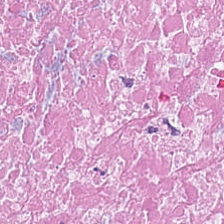WSI patch · H&E. Cellular debris.
